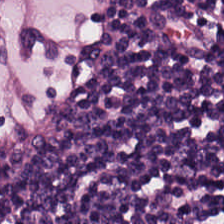H&E. 0.5 µm per pixel. FFPE tissue section.
Q: Classify this patch.
A: The field shows lymphocytes.
